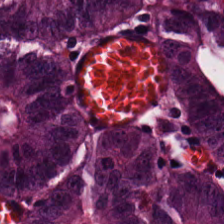Tissue class — adenocarcinoma.
